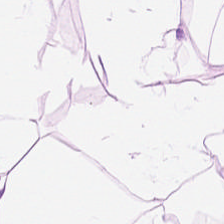Hematoxylin and eosin · 224×224 px tile — Showing fat tissue.
